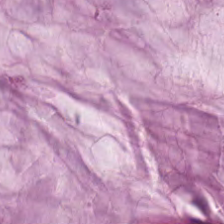Q: What tissue is shown?
A: This is extracellular mucin.
